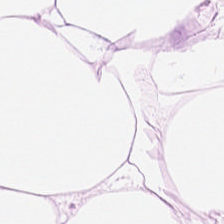0.5 µm/px. H&E stain. Brightfield.
Histology — adipose.
